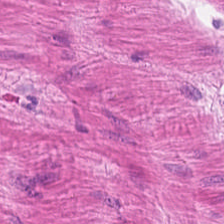Showing smooth-muscle tissue.
